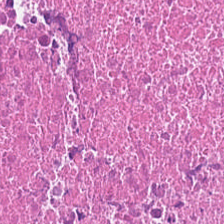Hematoxylin and eosin · brightfield · FFPE tissue section. Predominantly necrotic debris.
